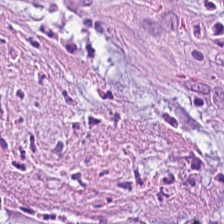H&E-stained tissue section — Classification — desmoplastic stroma.
